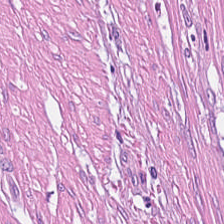FFPE. Hematoxylin and eosin.
Predominantly tumor-associated stroma.
